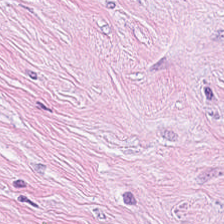Hematoxylin-and-eosin stained section · FFPE tissue section. Showing cancer-associated stroma.
